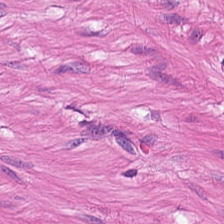Hematoxylin and eosin.
Tissue type — smooth-muscle tissue.
